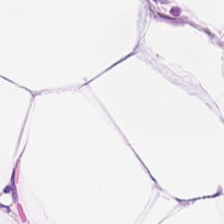{"tissue_type": "fat tissue"}
